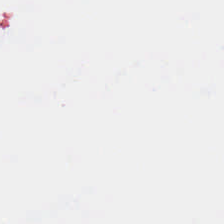H&E stain; 224×224 px tile; 0.5 microns per pixel — This patch shows no tissue.
